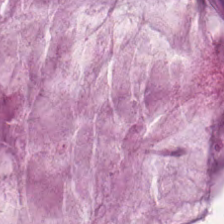Hematoxylin and eosin. Tissue class = mucus.
